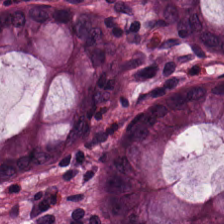224×224 pixel tile; WSI patch; H&E stain.
Showing benign colonic mucosa.
